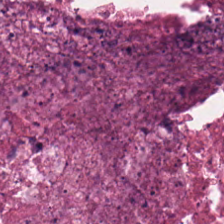224×224 px tile; H&E stain.
Q: Classify this patch.
A: Debris.
